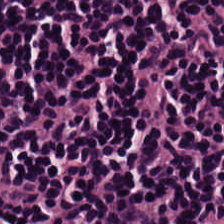Histology — lymphocyte aggregate.
